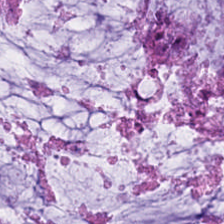Hematoxylin and eosin. {"tissue_type": "mucin"}
